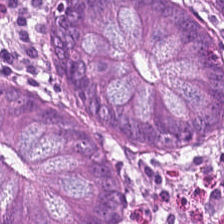H&E stain.
This patch shows normal colonic mucosa.
